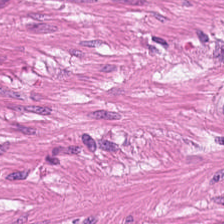Hematoxylin-and-eosin stained section. Finding — smooth-muscle tissue.
